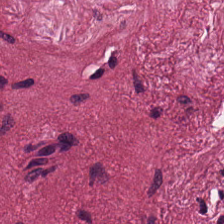H&E-stained tissue section.
The predominant tissue is desmoplastic stroma.
